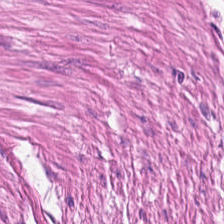Hematoxylin-and-eosin stained section · whole-slide-image patch. Tissue type: smooth muscle.
